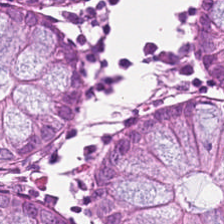H&E-stained tissue section.
This field is benign colonic mucosa.
